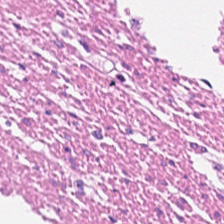Hematoxylin and eosin.
Q: What is shown in this field?
A: It is smooth-muscle tissue.
